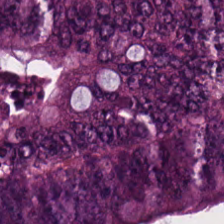{"tissue_type": "colorectal adenocarcinoma epithelium"}
